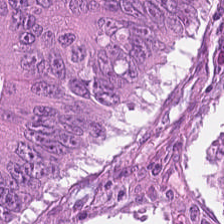Impression → colorectal adenocarcinoma epithelium.
